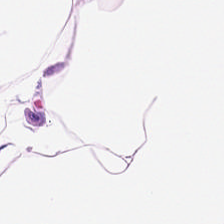H&E; FFPE tissue section — Q: What tissue is shown?
A: It is adipose.
